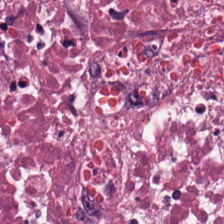20× equivalent magnification; H&E stain — Impression — necrotic debris.
